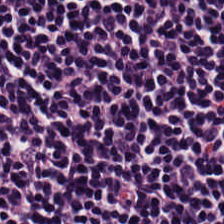The predominant tissue is lymphocytic infiltrate.
